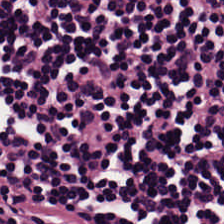{"tissue_type": "lymphoid infiltrate"}
